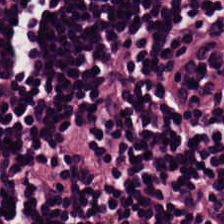This patch shows lymphocytes.
